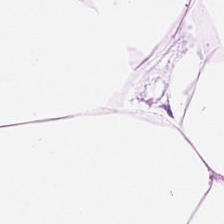H&E-stained tissue section. Fat tissue.
